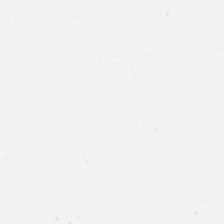Background (no tissue).
